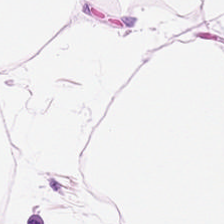Brightfield; 224×224 pixel tile; H&E-stained tissue section — Showing adipose tissue.
